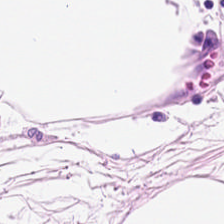H&E stain. Tissue class: fat tissue.
